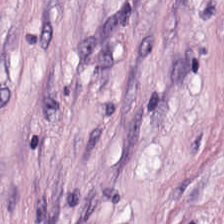Hematoxylin and eosin. The tissue here is desmoplastic stroma.
